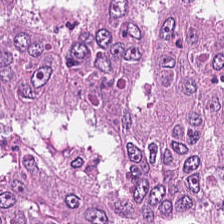H&E stain — Histology → tumor epithelium.
